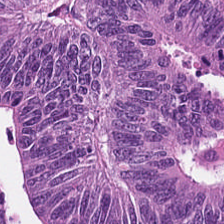FFPE tissue section · 224×224 pixel tile · H&E — Q: What is shown here?
A: This is colorectal adenocarcinoma.
